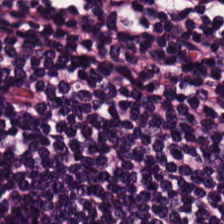Hematoxylin-and-eosin stained section — Predominantly lymphocytic infiltrate.
